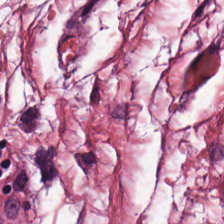0.5 µm/px. H&E stain. FFPE.
Finding — tumor stroma.
